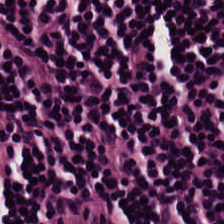Brightfield microscopy · 0.5 microns per pixel · H&E stain.
Tissue = lymphocytic infiltrate.
